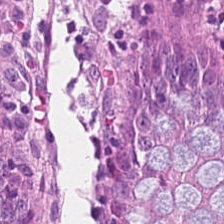The predominant tissue is benign colonic mucosa.
